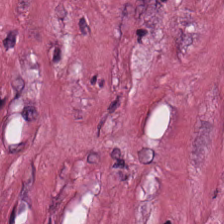Stain: H&E stain.
Predominant tissue: desmoplastic stroma.
